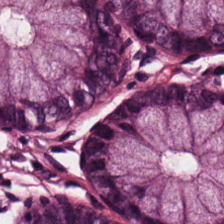Showing normal colon mucosa.
